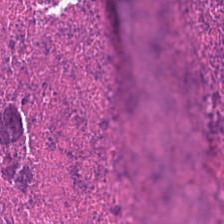Hematoxylin-and-eosin stained section. Finding → debris.
